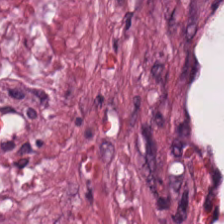H&E. Classification — cancer-associated stroma.
